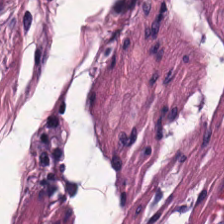Hematoxylin-and-eosin stained section. Showing smooth muscle.
